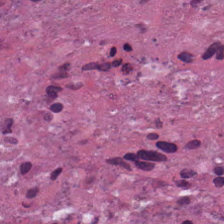The tissue type is debris.
